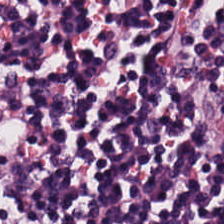The tissue is lymphocytes.
